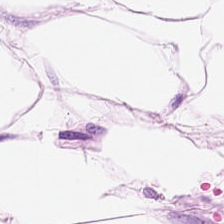Hematoxylin-and-eosin section: adipocytes.
